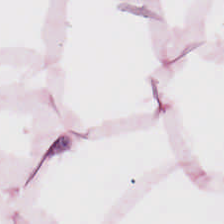H&E-stained tissue section.
{"tissue_type": "adipose"}
